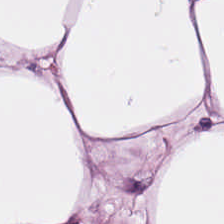Stain: H&E-stained tissue section.
Tissue type: adipocytes.
